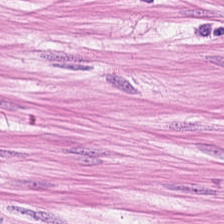The tissue type is smooth-muscle tissue.
